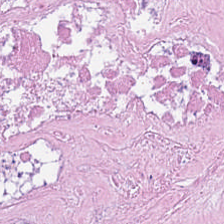Hematoxylin and eosin. The tissue here is necrotic debris.
